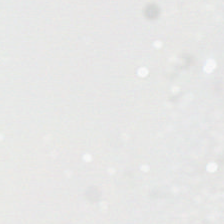H&E. Field content = empty background.
